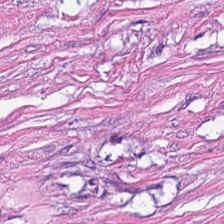0.5 µm/px · hematoxylin and eosin.
Predominantly tumor-associated stroma.
